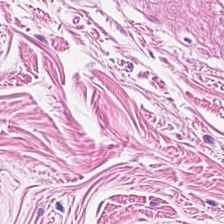Tissue type = smooth muscle.
